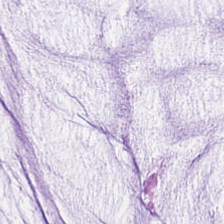Stain: H&E-stained tissue section.
Tissue: extracellular mucin.
